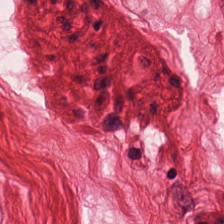H&E-stained tissue section; 224×224 pixel tile; 0.5 microns per pixel. {"tissue_type": "muscularis"}
